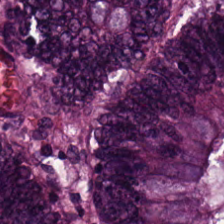Stain: H&E stain.
Tissue type: colorectal adenocarcinoma.
